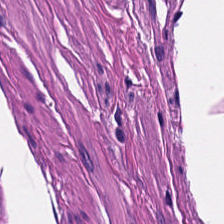Showing muscularis.
